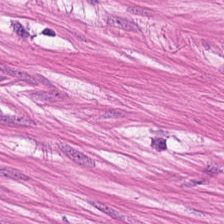H&E.
Classification = smooth-muscle tissue.
